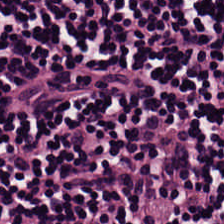224×224 px patch; H&E stain. The tissue here is lymphocytic infiltrate.
